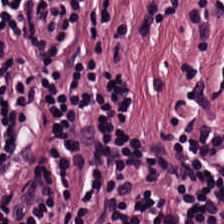The tissue here is lymphoid infiltrate.
